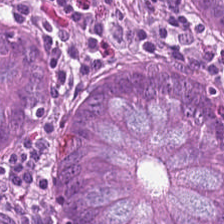Stain: H&E stain.
Resolution: 20× equivalent magnification.
Preparation: FFPE.
Tissue: normal colonic mucosa.
